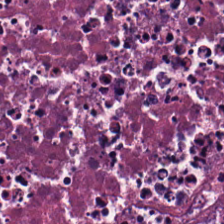Hematoxylin and eosin — This field is cellular debris.
